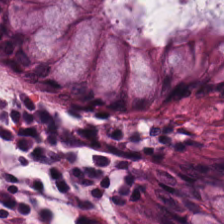H&E-stained tissue section.
Q: What is shown in this field?
A: The field shows non-neoplastic colon mucosa.
